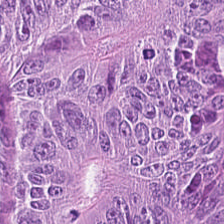H&E patch showing colorectal adenocarcinoma epithelium.
